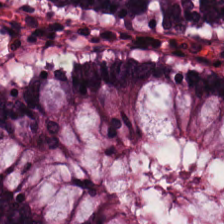Stain: hematoxylin and eosin.
Preparation: FFPE.
Predominant tissue: benign colonic mucosa.
